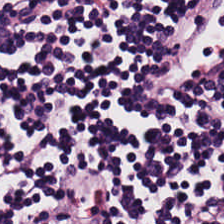Hematoxylin and eosin.
Tissue type — lymphoid infiltrate.
